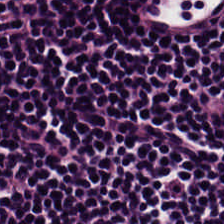This patch shows lymphoid infiltrate.
